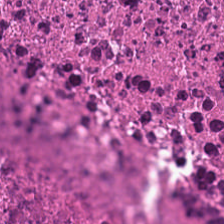H&E stain.
Debris.
